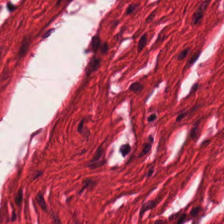Whole-slide-image patch. H&E stain.
Tissue: smooth muscle.
